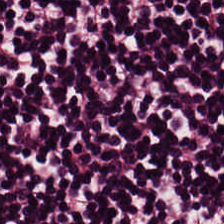H&E-stained tissue section showing lymphocyte aggregate.
